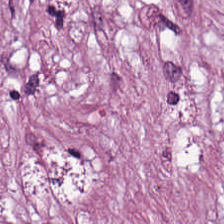FFPE. H&E-stained tissue section. The tissue here is desmoplastic stroma.
